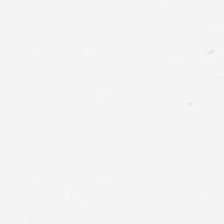Hematoxylin-and-eosin stained section.
Empty field — background (no tissue).
